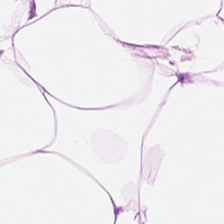Predominantly adipose.
